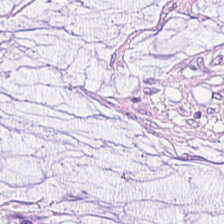H&E stain; formalin-fixed paraffin-embedded section — The tissue is mucus.
